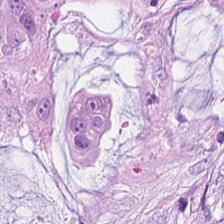224×224 px tile · hematoxylin-and-eosin stained section · brightfield microscopy.
Showing mucus.
